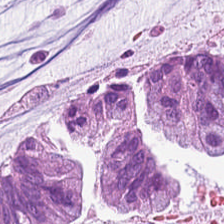FFPE tissue section. H&E. 20× equivalent magnification.
The predominant tissue is extracellular mucin.
